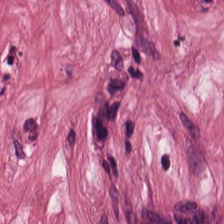Hematoxylin-and-eosin stained section.
Classification: tumor stroma.
